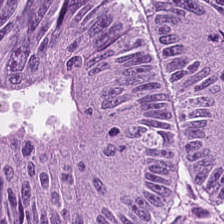This patch shows colorectal adenocarcinoma.
